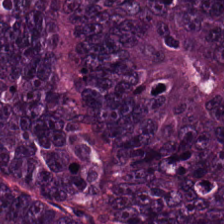Q: What type of tissue is this?
A: Colorectal adenocarcinoma.
